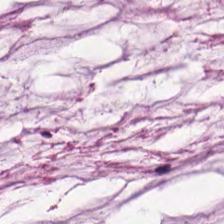Finding — mucus.
